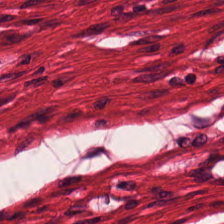Predominantly muscularis.
